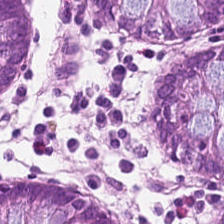FFPE tissue section; H&E — This patch shows normal colonic mucosa.
